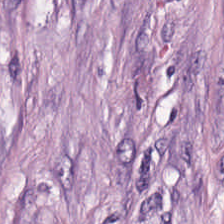H&E-stained tissue section.
Predominantly tumor stroma.
